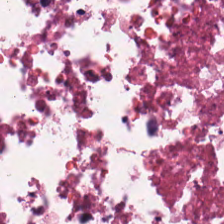224×224 pixel tile; H&E. Showing cellular debris.
